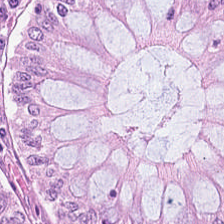FFPE tissue section. WSI patch. H&E-stained tissue section.
Q: Classify this patch.
A: This is normal colon mucosa.
